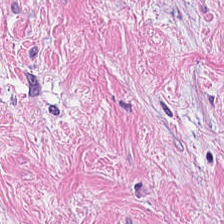224×224 px patch; H&E stain.
Q: What type of tissue is this?
A: It is tumor-associated stroma.
